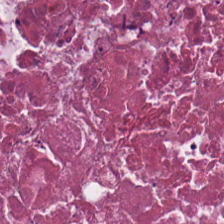H&E.
Showing debris.
